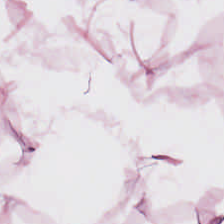H&E — {"tissue_type": "adipocytes"}
